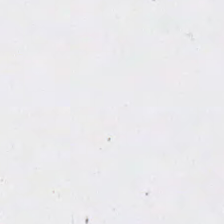Stain: hematoxylin-and-eosin stained section.
Field content: background (no tissue).
